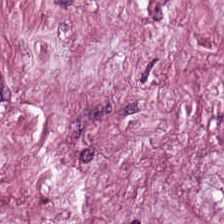Stain: H&E.
Tissue: desmoplastic stroma.
